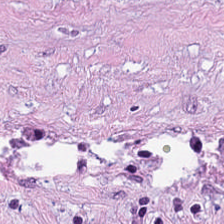Stain: hematoxylin-and-eosin stained section.
Tissue: desmoplastic stroma.
